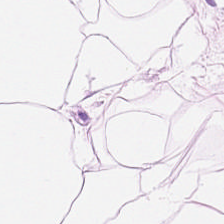FFPE · H&E stain · brightfield. Tissue type = adipose tissue.
